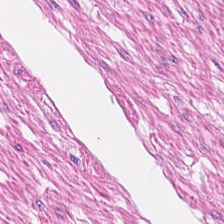Hematoxylin and eosin.
Q: What tissue type is shown here?
A: This is muscularis.
